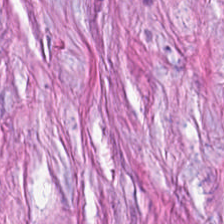WSI patch · H&E-stained tissue section.
The tissue here is desmoplastic stroma.
